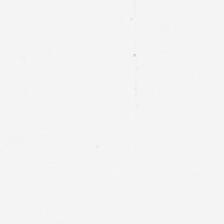Empty field — empty background.
